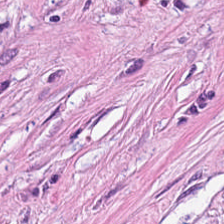Tissue = tumor stroma.
